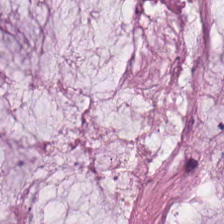Impression — extracellular mucin.
